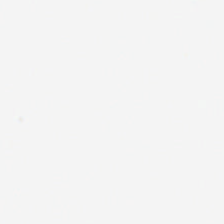H&E-stained tissue section. Q: What does this patch show?
A: The field shows no tissue.
